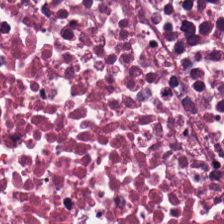Stain: H&E stain.
Tissue class: necrotic debris.
